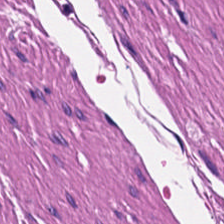Hematoxylin-and-eosin section: smooth muscle.
